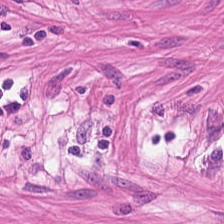Hematoxylin-and-eosin stained section. Tissue: smooth-muscle tissue.
